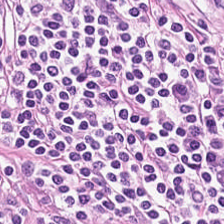Hematoxylin and eosin.
{"tissue_type": "lymphocyte aggregate"}
